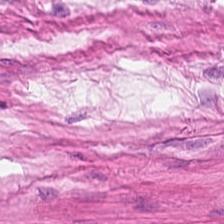Hematoxylin-and-eosin section: smooth muscle.
